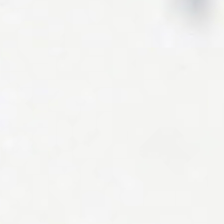Classification: background.
